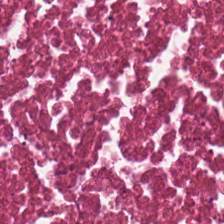H&E-stained tissue section.
{"tissue_type": "debris"}
